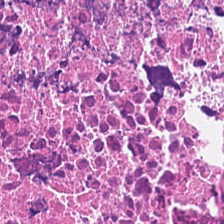H&E-stained tissue section — Impression — debris.
